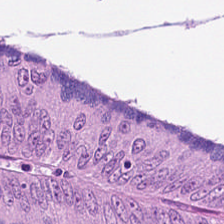Hematoxylin and eosin. This field is colorectal adenocarcinoma epithelium.
